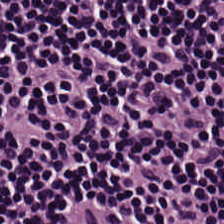Showing lymphocyte aggregate.
